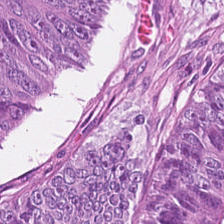FFPE. H&E stain. 224×224 px patch. Tissue class: adenocarcinoma.
